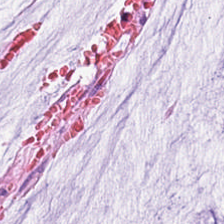Stain: H&E-stained tissue section.
Acquisition: WSI patch.
Tile size: 224×224 pixel tile.
Tissue class: mucus.
